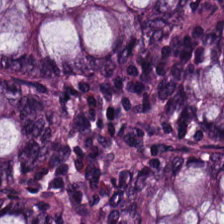Predominant tissue = normal colon mucosa.
